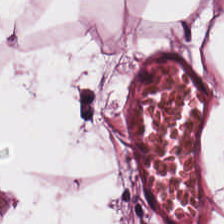H&E. Brightfield. {"tissue_type": "adipocytes"}
